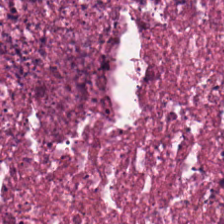H&E-stained tissue section. Impression — necrotic debris.
